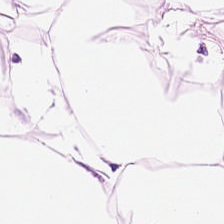Hematoxylin and eosin — {"tissue_type": "adipocytes"}
